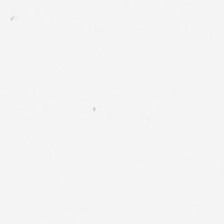H&E stain. Finding → background (no tissue).
